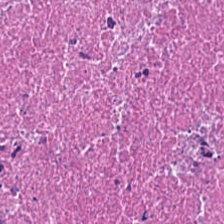Hematoxylin and eosin.
Predominant tissue — debris.
